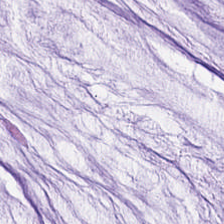Stain: hematoxylin and eosin.
Tissue class: extracellular mucin.
